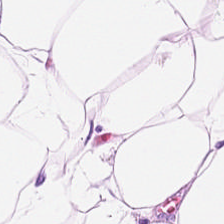Hematoxylin-and-eosin stained section; brightfield microscopy. Q: What is shown in this field?
A: Adipose.
